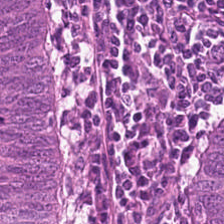Hematoxylin and eosin · WSI patch. Impression — colorectal adenocarcinoma.
